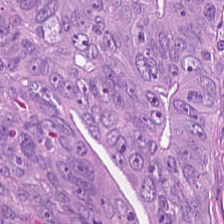Predominant tissue — colorectal adenocarcinoma.
